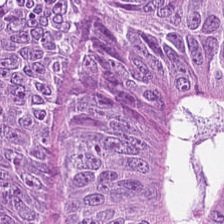H&E-stained section; the field shows colorectal adenocarcinoma.
